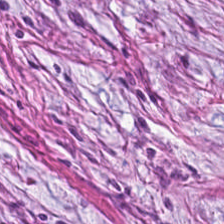FFPE; H&E stain; brightfield. Predominantly cancer-associated stroma.
